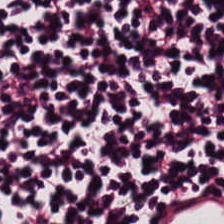Stain: hematoxylin-and-eosin stained section.
Tissue type: lymphocyte aggregate.
